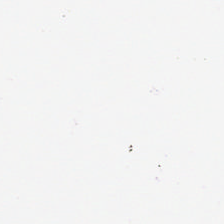Hematoxylin and eosin; 20× equivalent magnification.
Histology — background.
